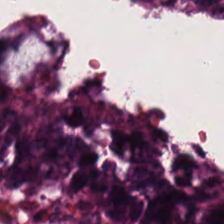Hematoxylin-and-eosin stained section.
Predominantly adenocarcinoma.
